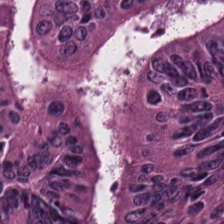Hematoxylin and eosin. 20× equivalent magnification. Tissue class — adenocarcinoma.
